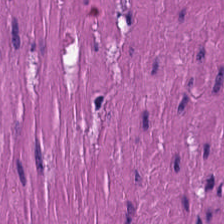H&E-stained tissue section. 0.5 µm per pixel.
Classification: smooth-muscle tissue.
